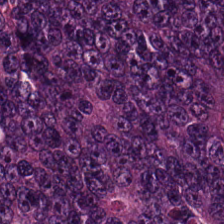Brightfield microscopy; H&E; FFPE tissue section. Q: What does this patch show?
A: The field shows adenocarcinoma.
